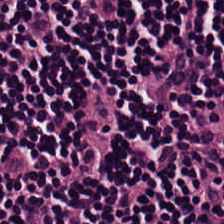224×224 px tile; H&E-stained tissue section.
Predominantly lymphoid infiltrate.
